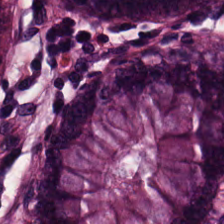Hematoxylin-and-eosin stained section. Predominantly normal colon mucosa.
